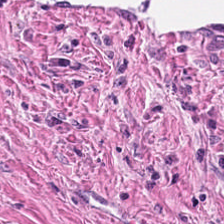H&E stain. Tissue class: desmoplastic stroma.
